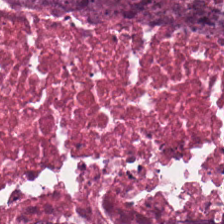Hematoxylin-and-eosin stained section.
Q: Classify this patch.
A: It is debris.
